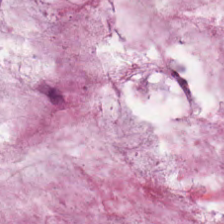Hematoxylin-and-eosin stained section.
Tissue: mucus.
